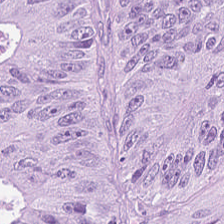H&E; 224×224 px tile.
The tissue here is tumor epithelium.
